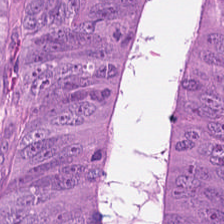H&E. Q: What tissue is shown?
A: It is colorectal adenocarcinoma.
